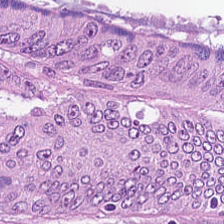Tissue type: malignant epithelium.
